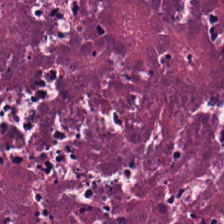Hematoxylin-and-eosin stained section — This field is cellular debris.
